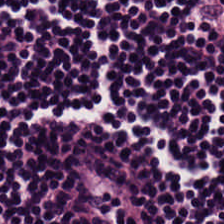Hematoxylin and eosin. Q: What tissue is shown?
A: The field shows lymphocyte aggregate.
